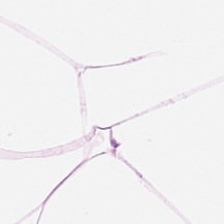FFPE tissue section. 224×224 pixel tile. H&E-stained tissue section — Q: What tissue is shown?
A: Adipose.
